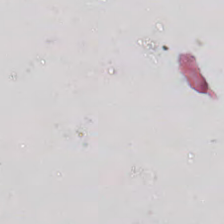H&E-stained tissue section.
No tissue present; background only.
